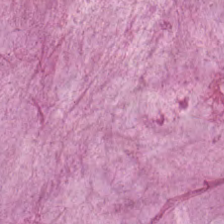Histology → mucus.
